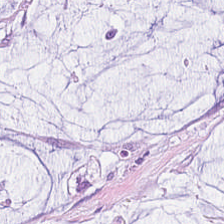H&E — mucin.
